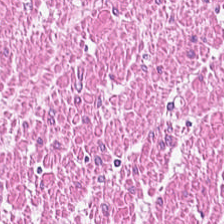H&E stain — This field is smooth muscle.
